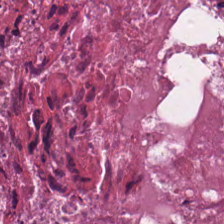Stain: hematoxylin and eosin.
Tissue type: debris.
